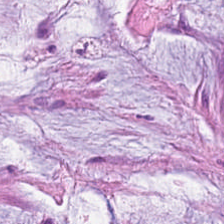Hematoxylin-and-eosin stained section. The predominant tissue is extracellular mucin.
